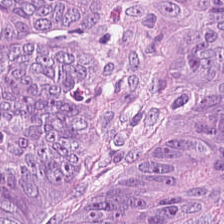FFPE; 224×224 px patch; H&E — This patch shows adenocarcinoma.
